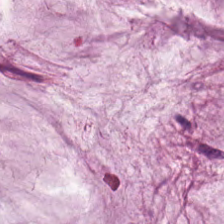WSI patch. Hematoxylin and eosin — Showing extracellular mucin.
